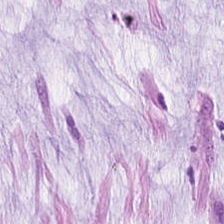H&E-stained tissue section.
Showing mucus.
